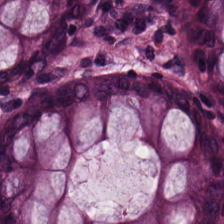Stain: hematoxylin-and-eosin stained section.
Classification: non-neoplastic colon mucosa.
